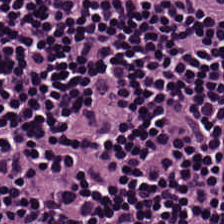H&E stain.
Predominant tissue: lymphocytic infiltrate.
